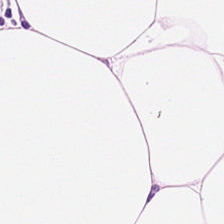Stain: H&E.
Predominant tissue: fat tissue.
